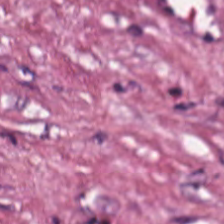Hematoxylin-and-eosin stained section. Predominantly tumor-associated stroma.
